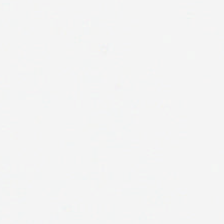Stain: H&E stain.
Tile size: 224×224 px patch.
Field content: no tissue.
